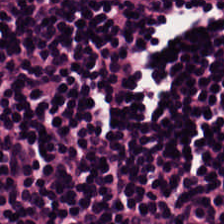Finding — lymphoid infiltrate.
